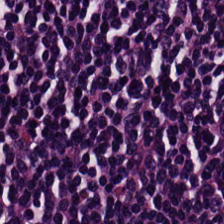Brightfield microscopy. H&E. Tissue class — lymphoid infiltrate.
